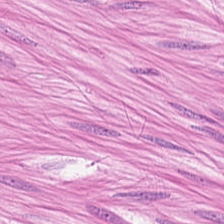Stain: H&E-stained tissue section.
Tissue: muscularis.
